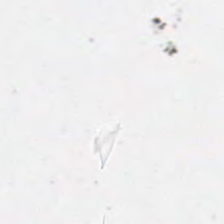H&E. Brightfield. No tissue present; background only.
